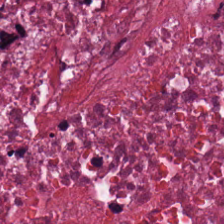H&E stain · brightfield microscopy — {"tissue_type": "cellular debris"}
